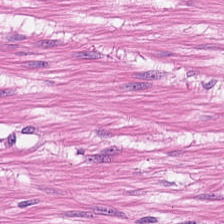Hematoxylin-and-eosin stained section. 224×224 px tile — Predominantly smooth-muscle tissue.
